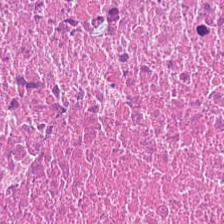H&E stain. Predominant tissue — necrotic debris.
